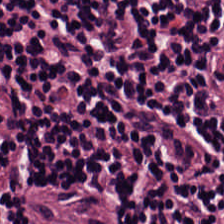Hematoxylin and eosin. Q: What does this patch show?
A: Lymphoid infiltrate.
